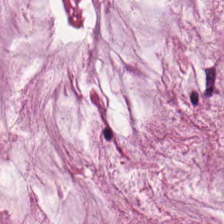H&E stain. Mucin.
